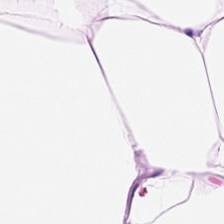Stain: hematoxylin-and-eosin stained section.
Preparation: FFPE tissue section.
Tissue class: fat tissue.
